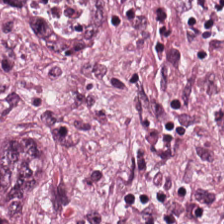FFPE tissue section · 224×224 pixel tile · H&E.
This patch shows colorectal adenocarcinoma epithelium.
